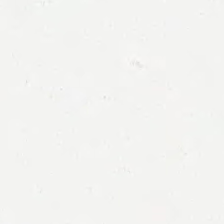H&E-stained tissue section. FFPE.
Finding — background.
